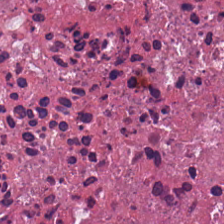0.5 microns per pixel. Hematoxylin and eosin — The tissue here is debris.
